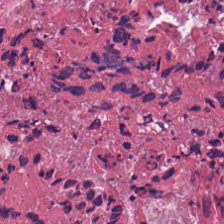Hematoxylin-and-eosin stained section; brightfield.
This patch shows debris.
